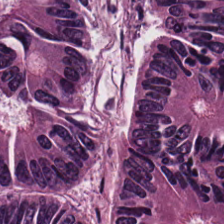224×224 px patch; H&E — Classification = tumor epithelium.
